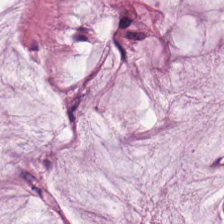Predominantly extracellular mucin.
